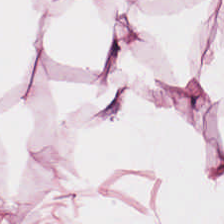Stain: H&E-stained tissue section.
Predominant tissue: adipocytes.
